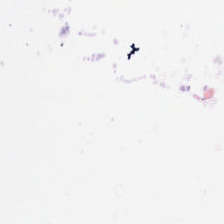FFPE tissue section · H&E — No tissue present; background only.
